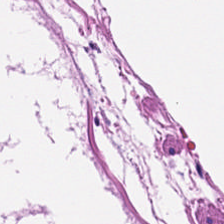The predominant tissue is smooth muscle.
